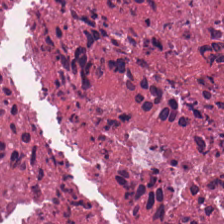Whole-slide-image patch; H&E stain.
The predominant tissue is debris.
